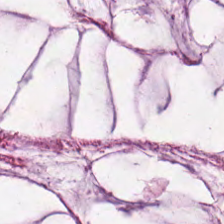Q: Identify the tissue.
A: Extracellular mucin.
